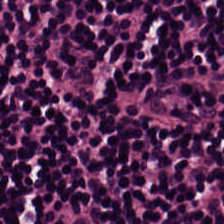Histology — lymphocytic infiltrate.
